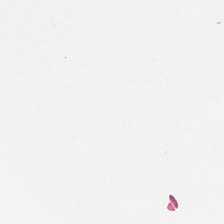Formalin-fixed paraffin-embedded section. Hematoxylin-and-eosin stained section. Background — no tissue in this field.
